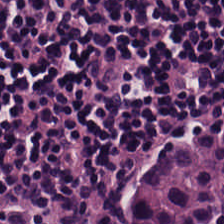Hematoxylin and eosin; whole-slide-image patch — Tissue class = lymphoid infiltrate.
